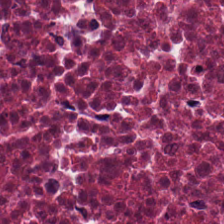H&E-stained tissue section. 0.5 µm per pixel. Formalin-fixed paraffin-embedded section — Q: What is the predominant tissue type?
A: Necrotic debris.
